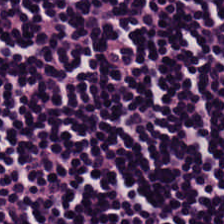Hematoxylin and eosin. Histology — lymphocytes.
